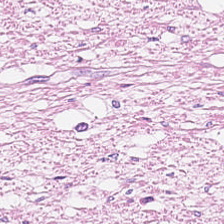Hematoxylin-and-eosin stained section.
Q: What type of tissue is this?
A: It is smooth-muscle tissue.
